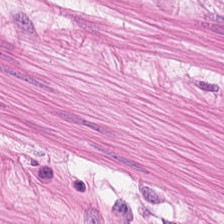Stain: hematoxylin-and-eosin stained section.
Preparation: FFPE tissue section.
Tissue class: muscularis.
